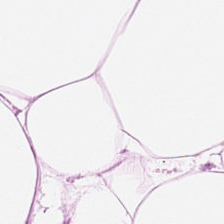Classification = adipose tissue.
